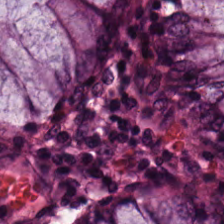H&E stain · FFPE tissue section · brightfield microscopy. Tissue = non-neoplastic colon mucosa.
